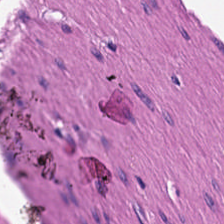Whole-slide-image patch; H&E-stained tissue section; 224×224 px patch — Predominant tissue — smooth-muscle tissue.
